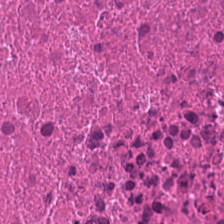{"tissue_type": "cellular debris"}
